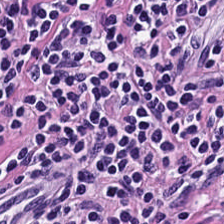Hematoxylin and eosin; brightfield microscopy. The predominant tissue is lymphoid infiltrate.
